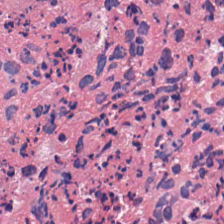H&E-stained tissue section.
Classification — necrotic debris.
